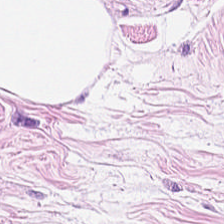Classification — adipose.
